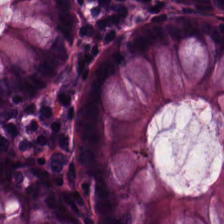H&E-stained tissue section showing normal colonic mucosa.
